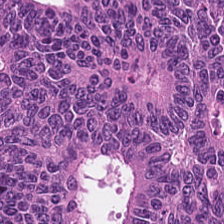20× equivalent magnification · hematoxylin-and-eosin stained section · 224×224 px patch — This patch shows colorectal adenocarcinoma epithelium.
